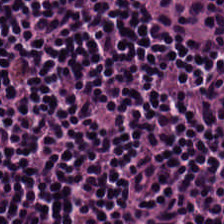Hematoxylin and eosin. Classification = lymphoid infiltrate.
